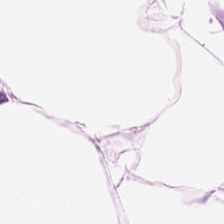H&E-stained tissue section — This patch shows adipose tissue.
